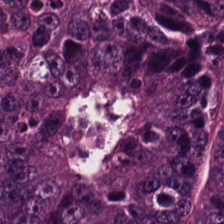H&E stain.
Q: Classify this patch.
A: The field shows malignant epithelium.
